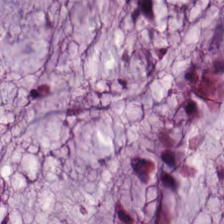H&E stain. Predominantly extracellular mucin.
